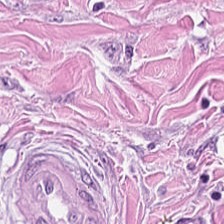Stain: H&E-stained tissue section.
Preparation: FFPE.
Tissue class: desmoplastic stroma.
